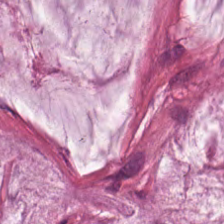Hematoxylin-and-eosin stained section — Tissue class — mucin.
